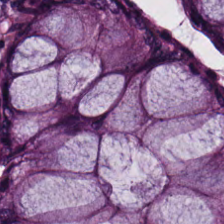H&E-stained tissue section.
Finding → benign colonic mucosa.
